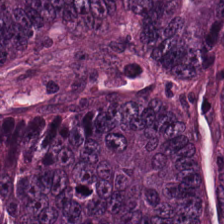Formalin-fixed paraffin-embedded section; H&E stain.
Tissue: tumor epithelium.
